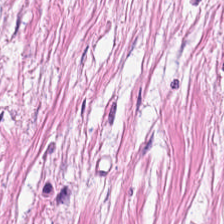Hematoxylin and eosin — Q: Classify this patch.
A: Tumor-associated stroma.
